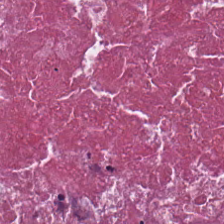{"tissue_type": "necrotic debris"}
